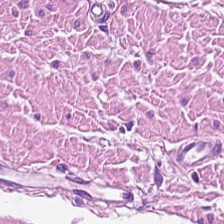Hematoxylin and eosin — Tissue — smooth muscle.
